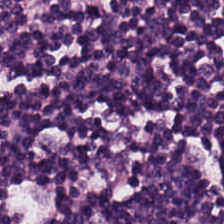Formalin-fixed paraffin-embedded section; 224×224 px patch; H&E stain — This patch shows lymphocytes.
